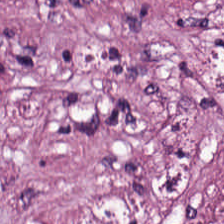H&E. 0.5 µm/px. FFPE tissue section. {"tissue_type": "cancer-associated stroma"}
